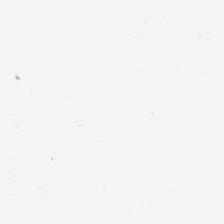H&E stain; brightfield.
Background — no tissue in this field.
